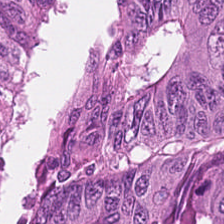{"tissue_type": "colorectal adenocarcinoma epithelium"}
